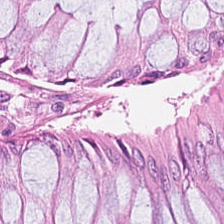Stain: H&E stain.
Predominant tissue: non-neoplastic colon mucosa.
